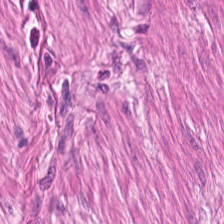Hematoxylin and eosin. Histology — smooth muscle.
